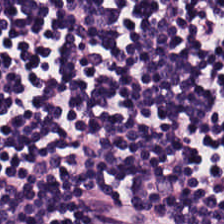0.5 microns per pixel; 224×224 px patch; H&E stain — Predominant tissue: lymphocyte aggregate.
